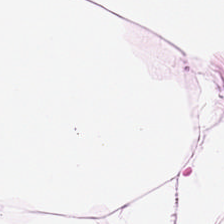Hematoxylin-and-eosin stained section. Predominantly fat tissue.
